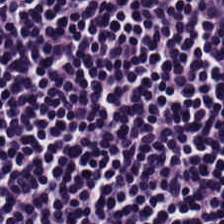0.5 µm per pixel. Hematoxylin and eosin.
Q: What is shown in this field?
A: It is lymphocytic infiltrate.
